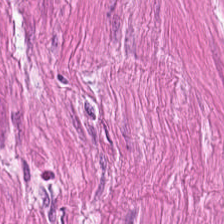Hematoxylin and eosin. {"tissue_type": "smooth muscle"}
